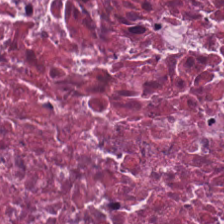H&E stain. 20× equivalent magnification.
Predominantly cellular debris.
